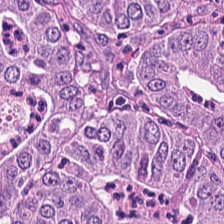Hematoxylin and eosin. Formalin-fixed paraffin-embedded section.
Adenocarcinoma.
